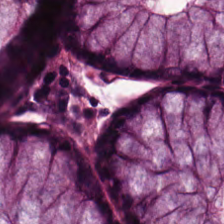H&E.
Normal colonic mucosa.
